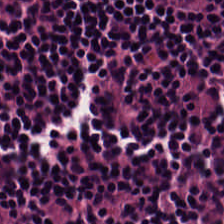Q: What is shown here?
A: The field shows lymphocyte aggregate.
